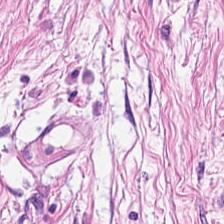H&E-stained tissue section showing cancer-associated stroma.
